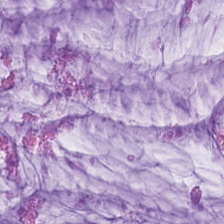The tissue type is extracellular mucin.
